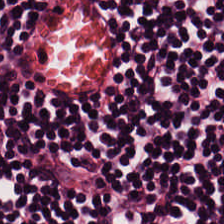H&E stain. Histology — lymphocyte aggregate.
